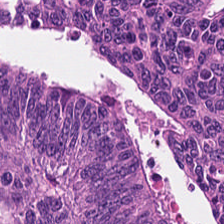Hematoxylin-and-eosin stained section.
Finding — adenocarcinoma.
